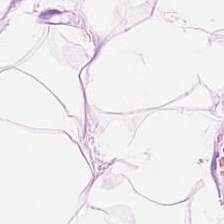H&E-stained tissue section.
This field is adipose tissue.
